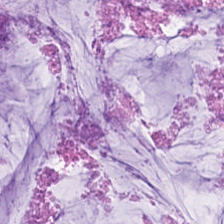H&E stain — Predominant tissue: extracellular mucin.
